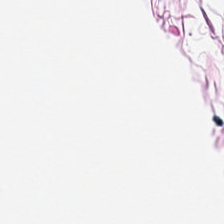Stain: hematoxylin-and-eosin stained section.
Tile size: 224×224 px patch.
Classification: fat tissue.
